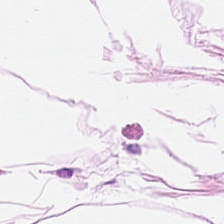Hematoxylin and eosin.
{"tissue_type": "adipocytes"}
